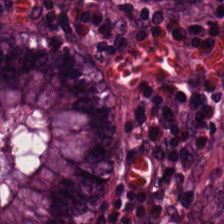Tissue class: non-neoplastic colon mucosa.
